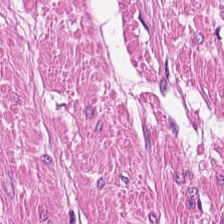Hematoxylin and eosin · whole-slide-image patch · 0.5 µm per pixel — Q: What is shown in this field?
A: This is smooth muscle.
